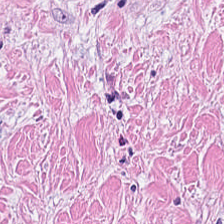H&E-stained tissue section showing cancer-associated stroma.
